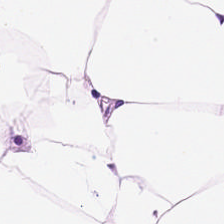Hematoxylin-and-eosin stained section. This field is adipose tissue.
